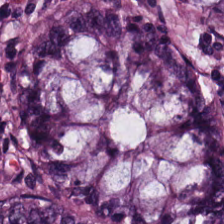Predominant tissue — non-neoplastic colon mucosa.
